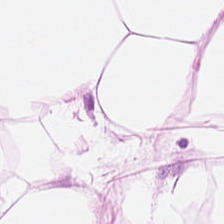Hematoxylin-and-eosin stained section · 0.5 µm per pixel — Histology — fat tissue.
